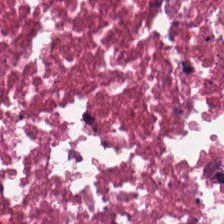Stain: hematoxylin and eosin.
Resolution: 0.5 microns per pixel.
Tile size: 224×224 px patch.
Classification: cellular debris.
